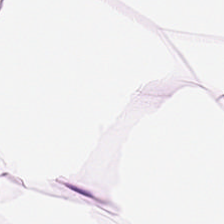Stain: H&E.
Acquisition: brightfield.
Tile size: 224×224 px patch.
Tissue type: adipose.
